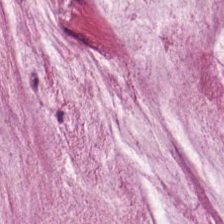Hematoxylin-and-eosin stained section · 0.5 microns per pixel.
Histology — extracellular mucin.
